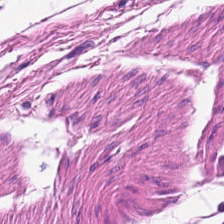H&E stain — Predominant tissue: smooth-muscle tissue.
